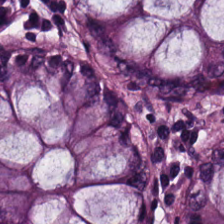H&E-stained tissue section — The predominant tissue is normal colonic mucosa.
